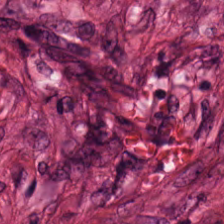H&E stain. 224×224 px tile. 0.5 µm/px — Showing tumor-associated stroma.
